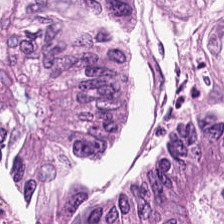The tissue is malignant epithelium.
